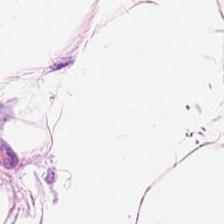224×224 px patch. H&E-stained tissue section. WSI patch. The tissue is adipose.
